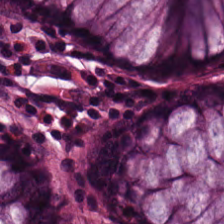Hematoxylin-and-eosin stained section. {"tissue_type": "benign colonic mucosa"}
